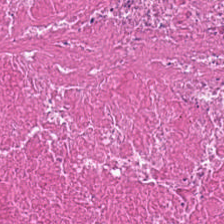H&E-stained tissue section.
This patch shows debris.
